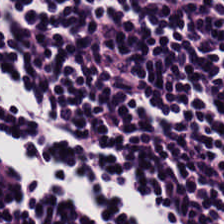H&E. Showing lymphocyte aggregate.
